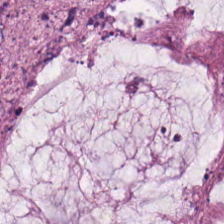Stain: H&E.
Tissue type: extracellular mucin.
